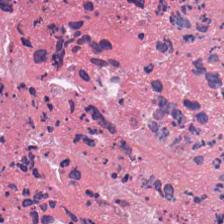Q: What is shown in this field?
A: Necrotic debris.
